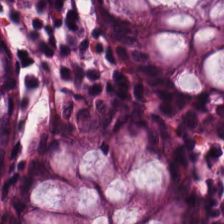224×224 px tile; H&E stain; formalin-fixed paraffin-embedded section. The predominant tissue is normal colonic mucosa.
